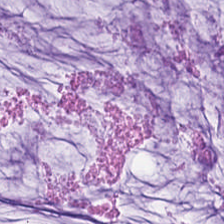H&E-stained tissue section. 20× equivalent magnification. {"tissue_type": "mucin"}
